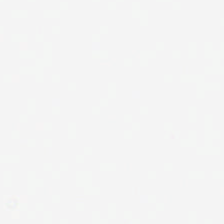H&E stain; 20× equivalent magnification — Q: Classify this patch.
A: It is no tissue.
